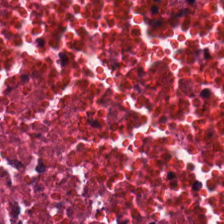Stain: H&E-stained tissue section.
Resolution: 20× equivalent magnification.
Predominant tissue: necrotic debris.
